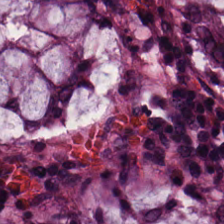0.5 microns per pixel. H&E-stained tissue section — Impression → normal colon mucosa.
